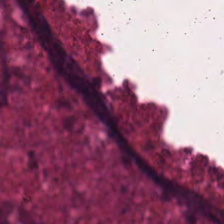Tissue type: debris.
